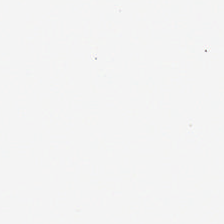H&E-stained tissue section — Content: empty background.
